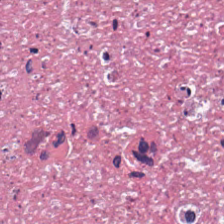H&E. Tissue type: cellular debris.
